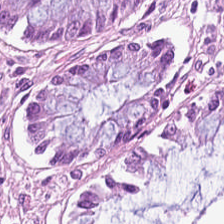224×224 pixel tile · hematoxylin and eosin · WSI patch — The tissue here is benign colonic mucosa.
